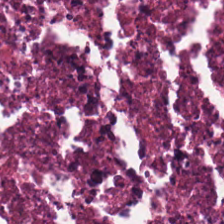Hematoxylin-and-eosin stained section. FFPE. 224×224 pixel tile — Classification = cellular debris.
